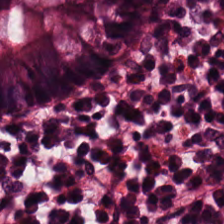H&E stain.
Q: Classify this patch.
A: Benign colonic mucosa.
